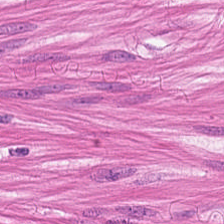Hematoxylin-and-eosin stained section — Tissue class = muscularis.
